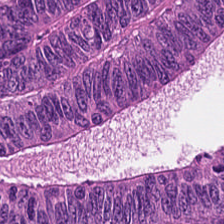Stain: hematoxylin and eosin.
Acquisition: brightfield microscopy.
Tissue: adenocarcinoma.
